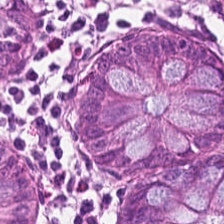FFPE; H&E-stained tissue section — The tissue here is non-neoplastic colon mucosa.
